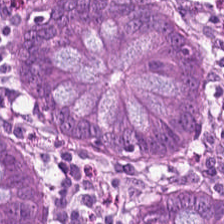Hematoxylin-and-eosin section: non-neoplastic colon mucosa.
